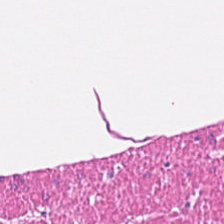Stain: hematoxylin-and-eosin stained section.
Tissue class: smooth-muscle tissue.
